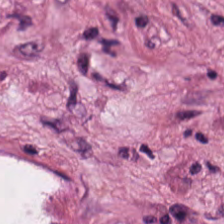Brightfield microscopy. FFPE. H&E. Q: Identify the tissue.
A: It is cancer-associated stroma.
